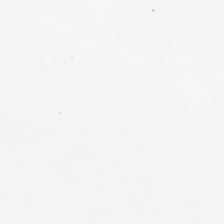H&E stain. Whole-slide-image patch — The classification is background.
